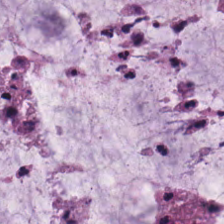Hematoxylin and eosin.
Predominant tissue — extracellular mucin.
